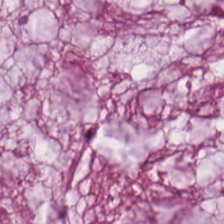Whole-slide-image patch · H&E-stained tissue section. Predominantly mucus.
